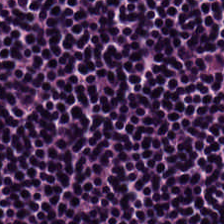Whole-slide-image patch; H&E-stained tissue section.
Tissue type — lymphoid infiltrate.
